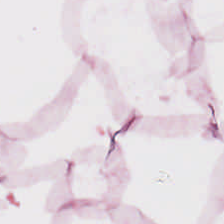H&E-stained tissue section. This patch shows fat tissue.
